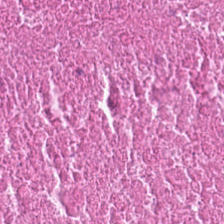Tissue class = debris.
